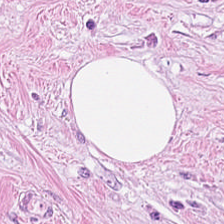H&E stain. Q: Identify the tissue.
A: It is cancer-associated stroma.
